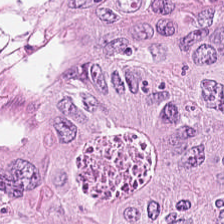Formalin-fixed paraffin-embedded section · hematoxylin and eosin.
Predominantly colorectal adenocarcinoma.
